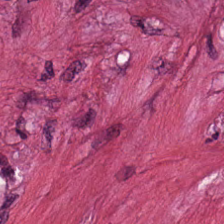Hematoxylin and eosin — Q: What is shown here?
A: The field shows cancer-associated stroma.
